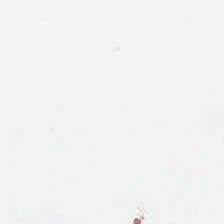Stain: H&E-stained tissue section.
Preparation: FFPE.
Tile size: 224×224 px patch.
Classification: empty background.
